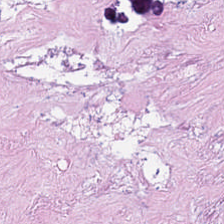WSI patch · 224×224 px patch · hematoxylin and eosin. Tissue class = cellular debris.
